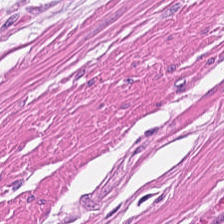0.5 microns per pixel. H&E-stained tissue section.
Tissue: muscularis.
